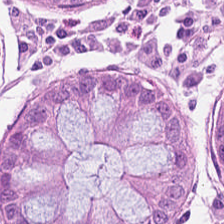H&E stain. Impression → normal colon mucosa.
